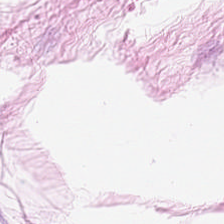H&E-stained tissue section. This patch shows fat tissue.
